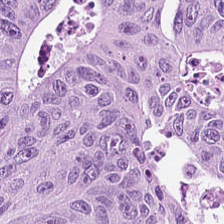Hematoxylin and eosin.
Q: What is the predominant tissue type?
A: Adenocarcinoma.
